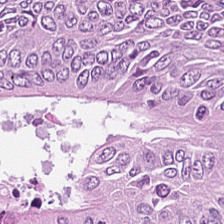Q: Classify this patch.
A: Adenocarcinoma.
